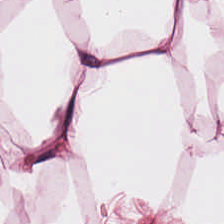0.5 microns per pixel. Hematoxylin-and-eosin stained section. Q: What does this patch show?
A: This is fat tissue.
